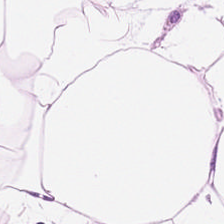H&E-stained tissue section.
Showing fat tissue.
